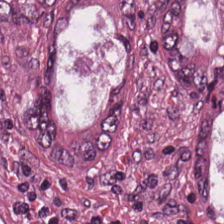Colorectal adenocarcinoma epithelium.
